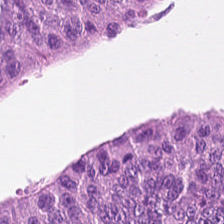Stain: H&E.
Tile size: 224×224 px patch.
Predominant tissue: malignant epithelium.
